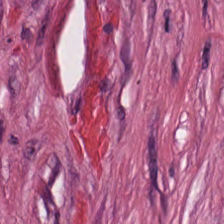H&E-stained tissue section. Formalin-fixed paraffin-embedded section. Q: What is shown here?
A: It is desmoplastic stroma.
